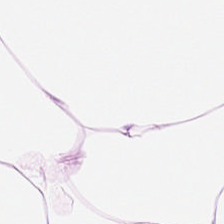0.5 µm per pixel. H&E. 224×224 px patch. Q: What tissue is shown?
A: The field shows adipocytes.
